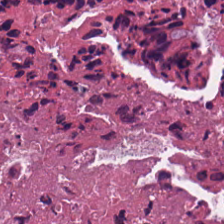H&E stain; 0.5 µm per pixel — {"tissue_type": "cellular debris"}
